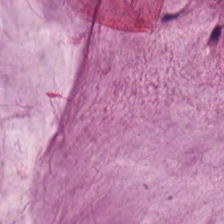Hematoxylin-and-eosin stained section. This patch shows mucus.
